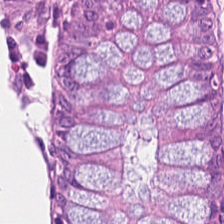H&E-stained tissue section showing benign colonic mucosa.
